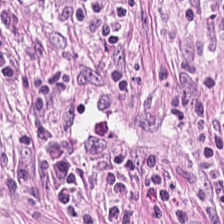Impression — tumor-associated stroma.
